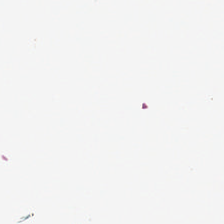0.5 µm/px. Hematoxylin-and-eosin stained section — Empty background.
